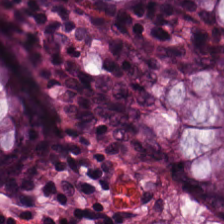224×224 px tile. FFPE tissue section. Hematoxylin and eosin.
Impression → benign colonic mucosa.
